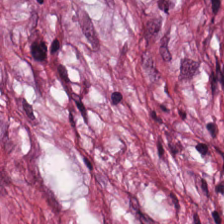Finding — cancer-associated stroma.
